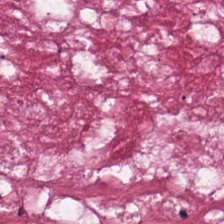Q: Identify the tissue.
A: Tumor stroma.
